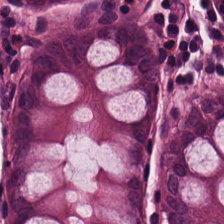H&E. The predominant tissue is non-neoplastic colon mucosa.
